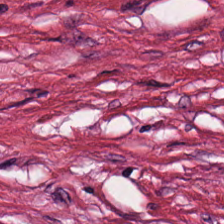The tissue here is desmoplastic stroma.
